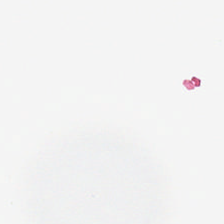Stain: hematoxylin and eosin.
Acquisition: brightfield.
Field content: empty background.
